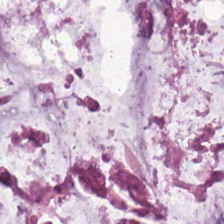H&E stain. WSI patch — Predominant tissue = mucus.
